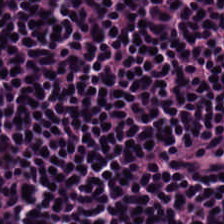H&E — The predominant tissue is lymphocyte aggregate.
